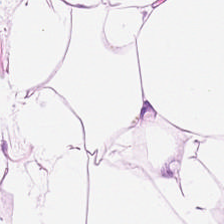Histology — adipocytes.
